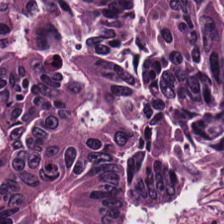{"tissue_type": "tumor epithelium"}
